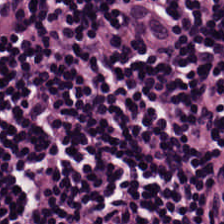H&E-stained tissue section. Q: What type of tissue is this?
A: It is lymphoid infiltrate.
